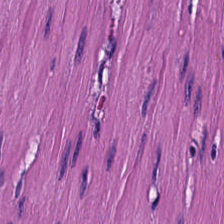Brightfield microscopy · H&E-stained tissue section — Finding → smooth-muscle tissue.
